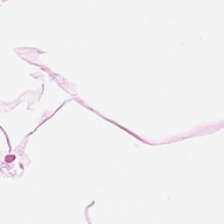H&E — Adipocytes.
